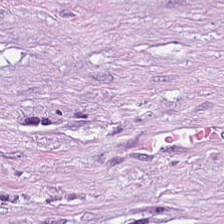Hematoxylin and eosin.
{"tissue_type": "cancer-associated stroma"}
